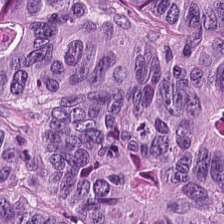H&E stain — Predominantly colorectal adenocarcinoma.
